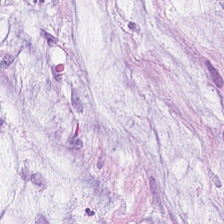H&E stain. Q: Identify the tissue.
A: This is mucin.
